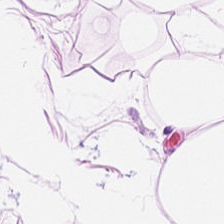Hematoxylin-and-eosin stained section.
Q: What is shown here?
A: Adipocytes.
